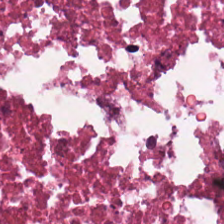H&E-stained tissue section. Q: What is the predominant tissue type?
A: Debris.
